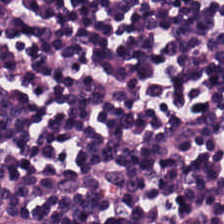Stain: hematoxylin and eosin.
Tile size: 224×224 px patch.
Classification: lymphocyte aggregate.
